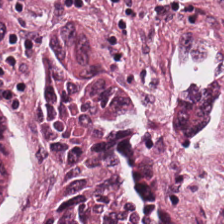H&E.
{"tissue_type": "colorectal adenocarcinoma epithelium"}
